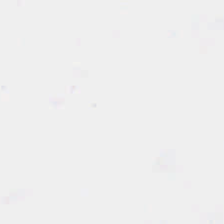Background — no tissue in this field.
